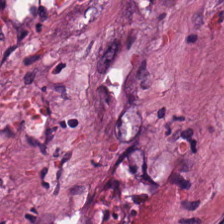H&E stain.
Tissue type — cancer-associated stroma.
